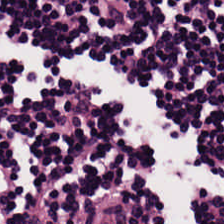Hematoxylin-and-eosin stained section.
Q: What type of tissue is this?
A: This is lymphocytic infiltrate.
